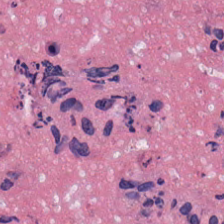Stain: H&E stain.
Tile size: 224×224 px tile.
Predominant tissue: debris.
